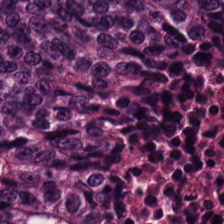Hematoxylin-and-eosin stained section.
Q: Identify the tissue.
A: Colorectal adenocarcinoma.
